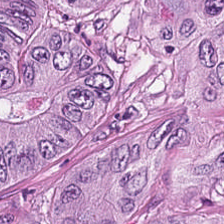Q: What is shown in this field?
A: The field shows colorectal adenocarcinoma epithelium.
